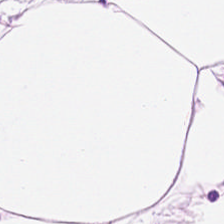Stain: hematoxylin-and-eosin stained section.
Tissue class: adipose.
